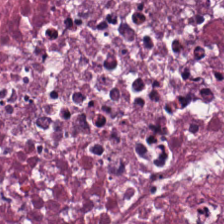0.5 µm/px. Hematoxylin-and-eosin stained section. Formalin-fixed paraffin-embedded section — {"tissue_type": "cellular debris"}
